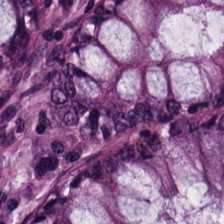Tissue type = benign colonic mucosa.
